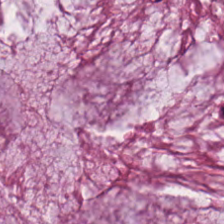Hematoxylin-and-eosin stained section. 224×224 pixel tile.
Histology — mucus.
